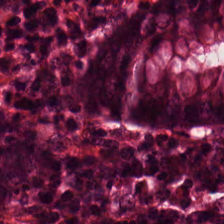Whole-slide-image patch. H&E stain — This patch shows non-neoplastic colon mucosa.
